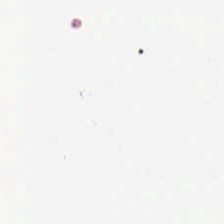Hematoxylin-and-eosin stained section.
Empty field — background.
